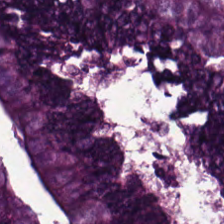H&E.
Showing tumor epithelium.
